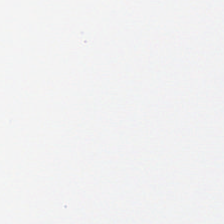Q: What is shown here?
A: The field shows background (no tissue).
